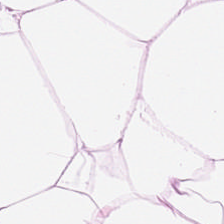Hematoxylin and eosin. 224×224 pixel tile. Predominantly adipose tissue.
